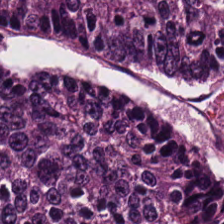Tissue: adenocarcinoma.
